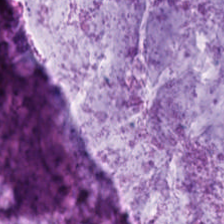Stain: hematoxylin-and-eosin stained section.
Tissue: extracellular mucin.
